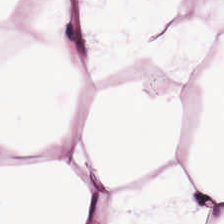Brightfield microscopy · 0.5 microns per pixel · H&E stain — Q: What type of tissue is this?
A: This is fat tissue.
